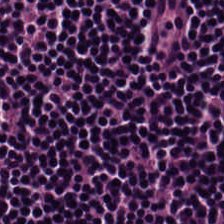224×224 px tile · H&E — The tissue class is lymphocytic infiltrate.
